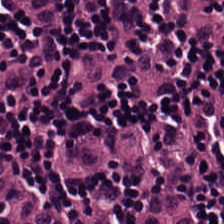Hematoxylin-and-eosin stained section.
Tissue type — lymphocytes.
